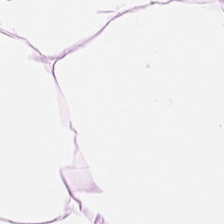H&E stain; 0.5 µm/px.
Predominant tissue: fat tissue.
